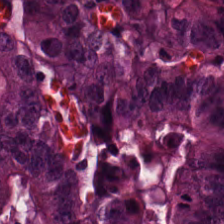224×224 px tile. H&E — Showing colorectal adenocarcinoma epithelium.
